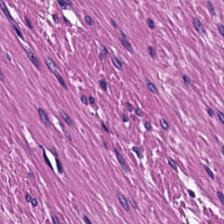224×224 px patch. Hematoxylin and eosin.
This field is smooth muscle.
